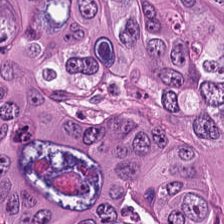H&E-stained tissue section.
Q: What is shown here?
A: Tumor epithelium.
